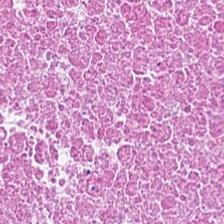H&E; FFPE; whole-slide-image patch.
Predominantly cellular debris.
